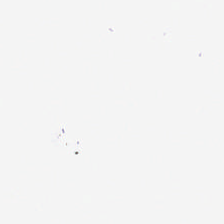Field content — background (no tissue).
